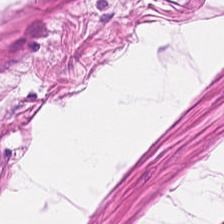Hematoxylin-and-eosin stained section. Q: What is shown here?
A: This is muscularis.
